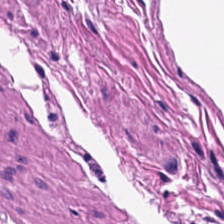Stain: H&E-stained tissue section.
Tissue: muscularis.
